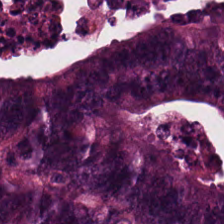Hematoxylin and eosin. Brightfield microscopy. 224×224 pixel tile. {"tissue_type": "colorectal adenocarcinoma"}
